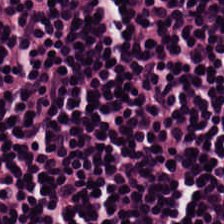Hematoxylin-and-eosin stained section.
Tissue type: lymphocyte aggregate.
